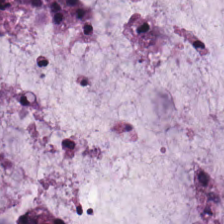Hematoxylin-and-eosin stained section. Classification — extracellular mucin.
